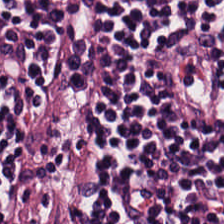Brightfield · H&E stain. Q: What tissue is shown?
A: This is lymphocyte aggregate.
